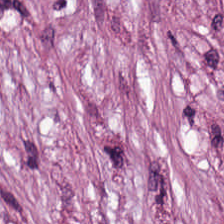Stain: H&E-stained tissue section.
Tissue: desmoplastic stroma.
